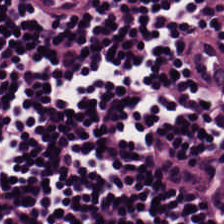Hematoxylin-and-eosin stained section; 0.5 µm/px — Impression — lymphocytes.
